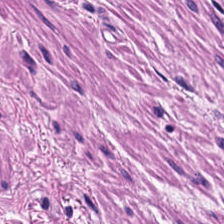Stain: H&E.
Tissue: smooth muscle.
